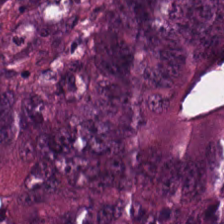224×224 px patch; H&E-stained tissue section. {"tissue_type": "colorectal adenocarcinoma epithelium"}
